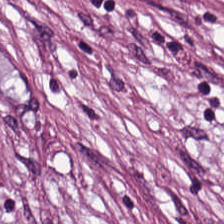Hematoxylin-and-eosin stained section. Tissue type — cancer-associated stroma.
